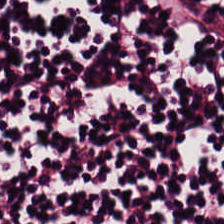H&E-stained tissue section. 224×224 pixel tile.
This field is lymphoid infiltrate.
